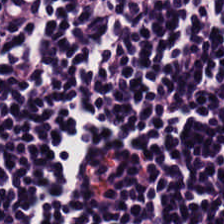224×224 px tile. Formalin-fixed paraffin-embedded section. Hematoxylin-and-eosin stained section.
Predominantly lymphocyte aggregate.
